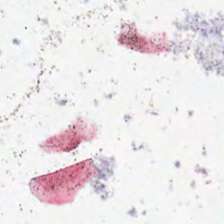Empty field — background (no tissue).
